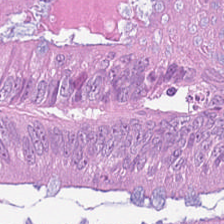H&E · brightfield microscopy · 0.5 µm/px — {"tissue_type": "tumor epithelium"}
